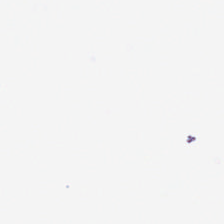H&E.
Classification: background (no tissue).
